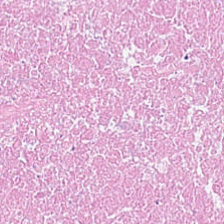H&E. Tissue type = cellular debris.
